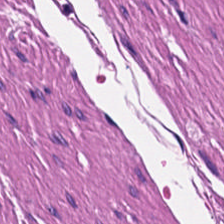Stain: H&E.
Tissue type: smooth muscle.
